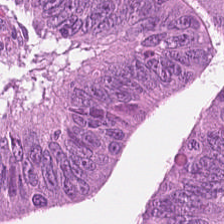The tissue type is colorectal adenocarcinoma epithelium.
